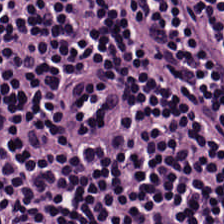Stain: hematoxylin-and-eosin stained section.
Tissue class: lymphocytic infiltrate.
